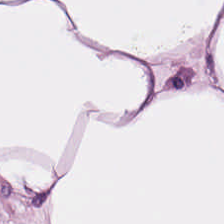0.5 µm/px · H&E-stained tissue section.
Predominantly adipocytes.
